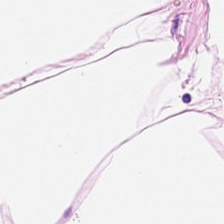H&E. FFPE. 224×224 pixel tile — Predominant tissue — adipocytes.
